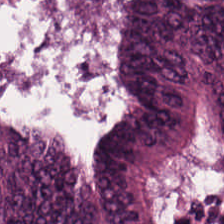H&E stain — Impression — tumor epithelium.
